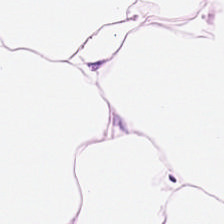H&E — This patch shows fat tissue.
